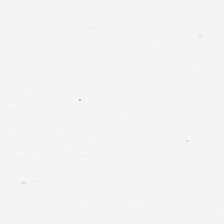H&E stain. Formalin-fixed paraffin-embedded section.
This field is background (no tissue).
